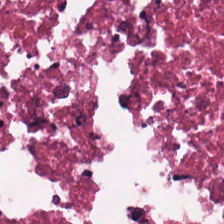Hematoxylin-and-eosin stained section · 20× equivalent magnification · WSI patch. Impression → debris.
